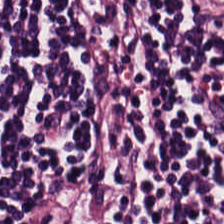H&E stain — Q: What tissue is shown?
A: This is lymphocytes.
